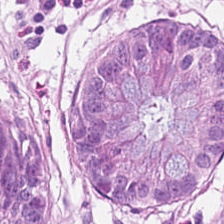H&E-stained section; the field shows non-neoplastic colon mucosa.
